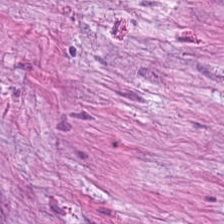H&E stain · 224×224 pixel tile · 0.5 microns per pixel — Histology → tumor stroma.
